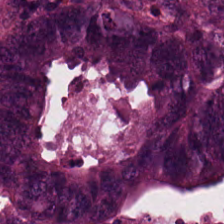FFPE tissue section. 20× equivalent magnification. H&E. This field is tumor epithelium.
